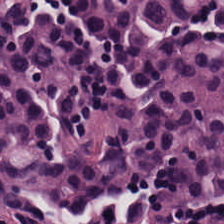Hematoxylin and eosin. 224×224 px tile.
{"tissue_type": "lymphocytes"}
